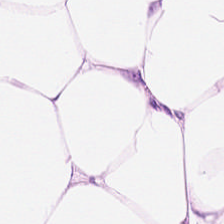The tissue is adipocytes.
